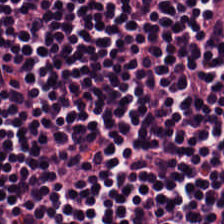20× equivalent magnification. Hematoxylin-and-eosin stained section.
Predominantly lymphocyte aggregate.
